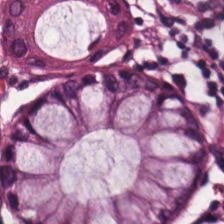H&E patch showing benign colonic mucosa.
